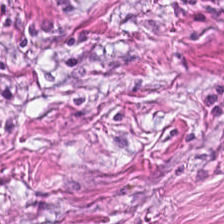Showing cancer-associated stroma.
